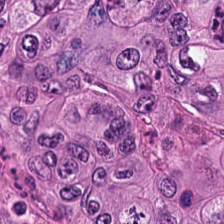Predominant tissue: malignant epithelium.
